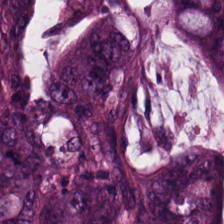Classification: colorectal adenocarcinoma epithelium.
